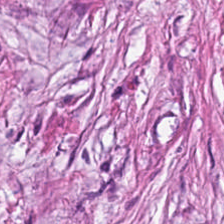H&E · 224×224 px patch — The predominant tissue is tumor-associated stroma.
